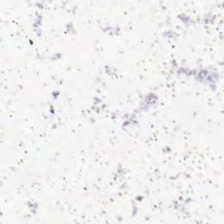Stain: hematoxylin and eosin.
Preparation: formalin-fixed paraffin-embedded section.
Acquisition: whole-slide-image patch.
Classification: background (no tissue).
